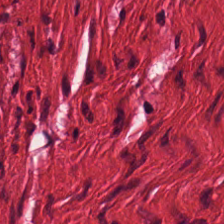Tissue class: smooth muscle.
